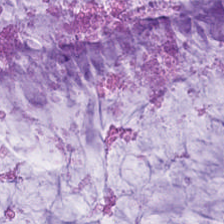This patch shows mucus.
